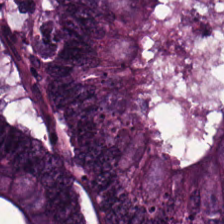Formalin-fixed paraffin-embedded section · brightfield microscopy · H&E stain — Showing tumor epithelium.
